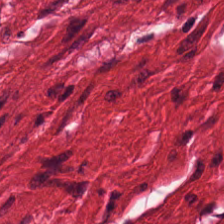FFPE · whole-slide-image patch · hematoxylin-and-eosin stained section. This field is smooth muscle.
